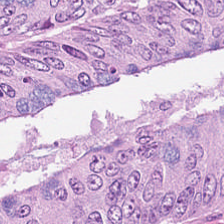Tissue: tumor epithelium.
